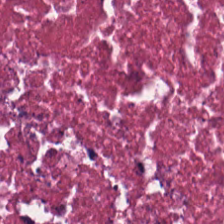Brightfield · H&E. Q: What is shown in this field?
A: It is cellular debris.
